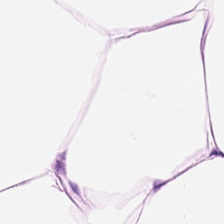H&E-stained tissue section. Predominantly adipose tissue.
